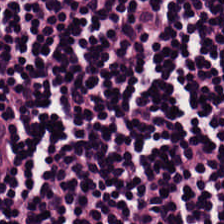The tissue is lymphocyte aggregate.
